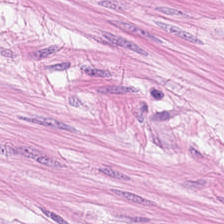224×224 px patch. H&E stain — Showing smooth-muscle tissue.
